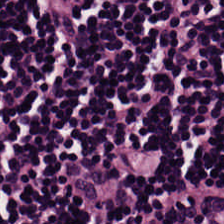Hematoxylin and eosin — This patch shows lymphocyte aggregate.
